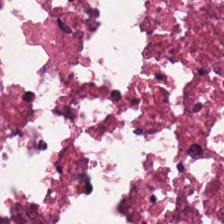H&E-stained tissue section showing necrotic debris.
